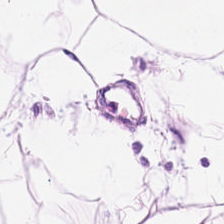H&E-stained tissue section — Fat tissue.
